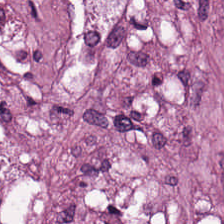Brightfield. H&E-stained tissue section — {"tissue_type": "tumor-associated stroma"}
